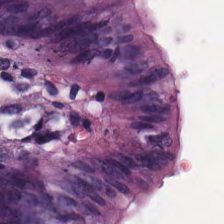Hematoxylin-and-eosin stained section.
Classification: normal colonic mucosa.
